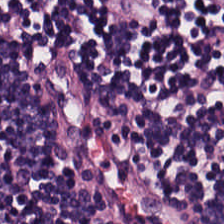224×224 px patch · hematoxylin and eosin.
The predominant tissue is lymphocyte aggregate.
